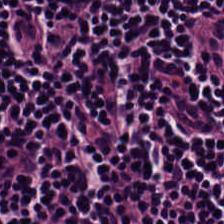224×224 pixel tile. H&E.
The predominant tissue is lymphocytic infiltrate.
